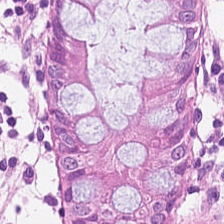Showing non-neoplastic colon mucosa.
